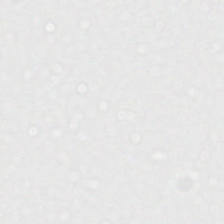Finding — no tissue.
